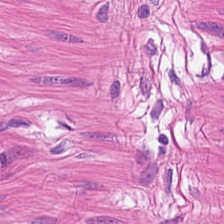Hematoxylin-and-eosin stained section · whole-slide-image patch. This field is smooth-muscle tissue.
